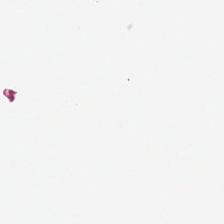Brightfield microscopy. H&E stain. 224×224 px tile. This patch shows empty background.
